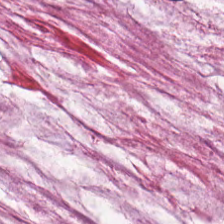H&E stain.
Impression — mucus.
